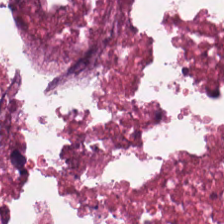FFPE. H&E-stained tissue section — Tissue type: cellular debris.
